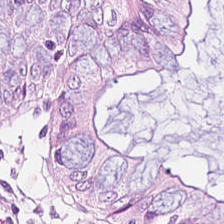Classification: normal colonic mucosa.
